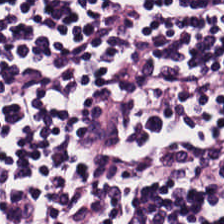Impression — lymphocyte aggregate.
